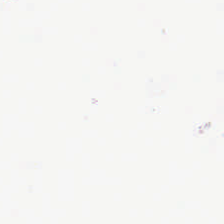Hematoxylin and eosin — Classification — no tissue.
